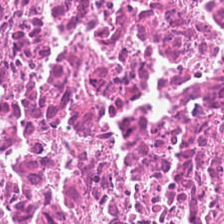Hematoxylin and eosin; 224×224 px patch.
Q: What is shown in this field?
A: Debris.
